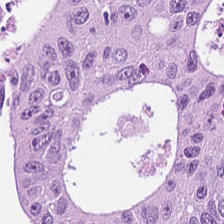224×224 pixel tile; H&E-stained tissue section — Tissue class — adenocarcinoma.
